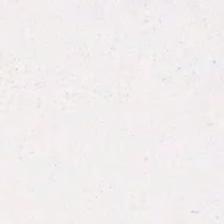H&E. Predominant tissue: extracellular mucin.
